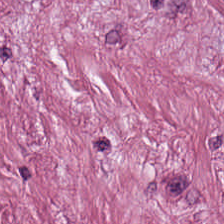H&E — desmoplastic stroma.
